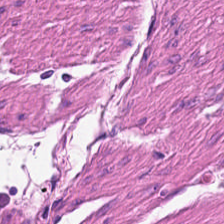H&E-stained tissue section.
The tissue here is muscularis.
